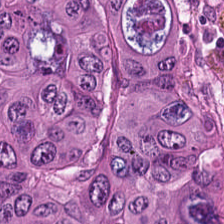H&E — This patch shows malignant epithelium.
